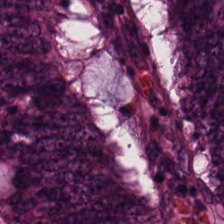Impression → tumor epithelium.
